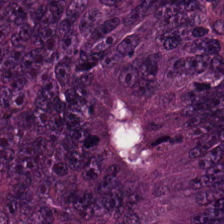Stain: H&E.
Tissue class: adenocarcinoma.
